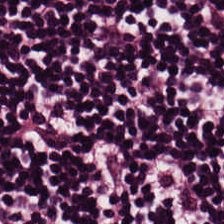Hematoxylin-and-eosin stained section. Q: What tissue type is shown here?
A: Lymphocytic infiltrate.
